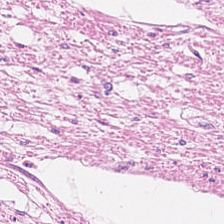Stain: H&E-stained tissue section.
Preparation: FFPE tissue section.
Tissue: smooth-muscle tissue.
